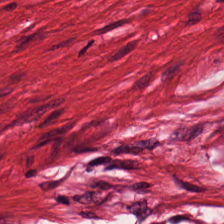FFPE. H&E.
This field is smooth muscle.
